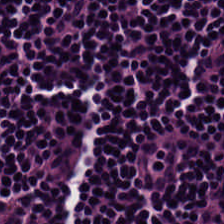H&E stain. This field is lymphocytic infiltrate.
